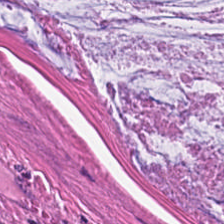H&E stain.
Showing mucus.
